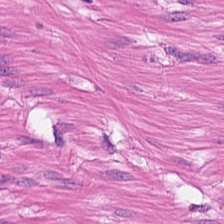H&E-stained tissue section — Showing smooth muscle.
